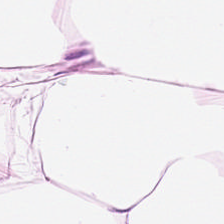Formalin-fixed paraffin-embedded section. Hematoxylin-and-eosin stained section. 0.5 µm per pixel.
This field is adipocytes.
